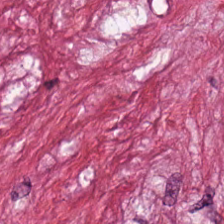H&E stain; brightfield microscopy; FFPE tissue section.
This patch shows desmoplastic stroma.
